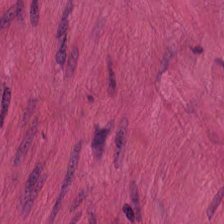Q: Classify this patch.
A: This is smooth-muscle tissue.
